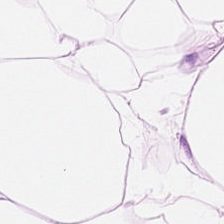FFPE tissue section. H&E.
Q: What type of tissue is this?
A: It is adipocytes.
